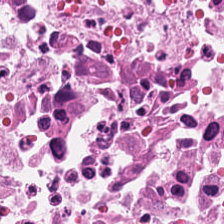H&E stain · 224×224 pixel tile · FFPE — Impression — necrotic debris.
